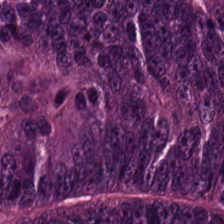H&E patch showing colorectal adenocarcinoma epithelium.
